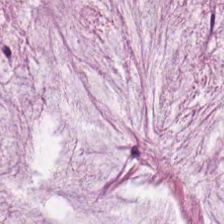Q: What tissue is shown?
A: The field shows mucus.
